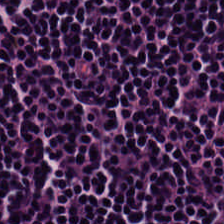H&E — Impression → lymphocytes.
